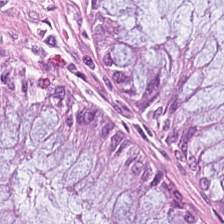Tissue class: normal colon mucosa.
